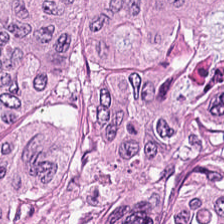H&E · 0.5 µm/px.
This patch shows colorectal adenocarcinoma epithelium.
